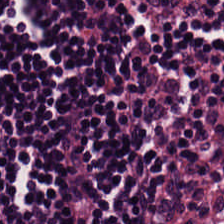Showing lymphoid infiltrate.
